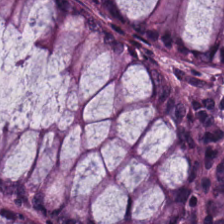Hematoxylin and eosin — Histology → normal colonic mucosa.
